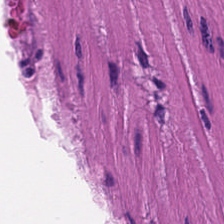Hematoxylin and eosin. 20× equivalent magnification.
Predominant tissue = muscularis.
